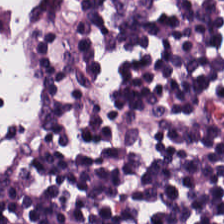Hematoxylin and eosin · whole-slide-image patch — Finding — lymphocytes.
